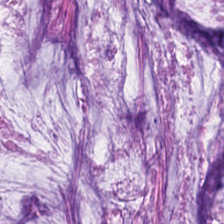The tissue here is extracellular mucin.
